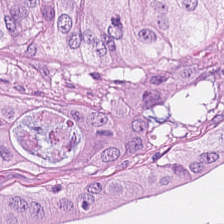Classification — tumor epithelium.
